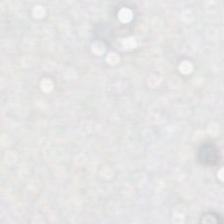H&E; brightfield; FFPE.
Background — no tissue in this field.
